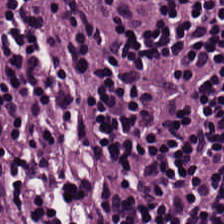Stain: hematoxylin-and-eosin stained section.
Resolution: 0.5 µm/px.
Acquisition: WSI patch.
Predominant tissue: lymphocytic infiltrate.
